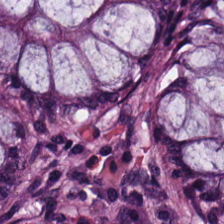Hematoxylin and eosin · 224×224 px patch. Impression — normal colonic mucosa.
